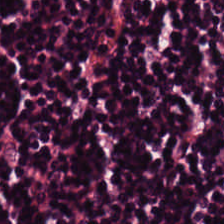Showing lymphocytes.
